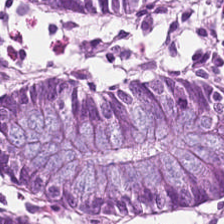Hematoxylin-and-eosin stained section — Tissue class: benign colonic mucosa.
